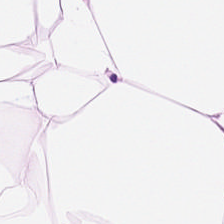Stain: H&E stain.
Tile size: 224×224 px tile.
Tissue type: adipose.
